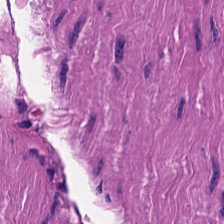H&E-stained section; the field shows smooth-muscle tissue.
